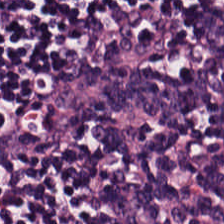Hematoxylin-and-eosin stained section. 224×224 px patch. Predominantly lymphocytic infiltrate.
